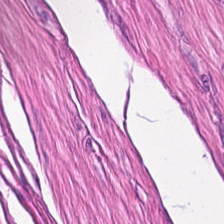Stain: H&E-stained tissue section.
Classification: muscularis.
